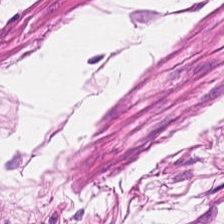WSI patch. Hematoxylin and eosin.
Tissue type — smooth muscle.
